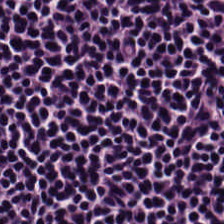Q: What tissue type is shown here?
A: This is lymphoid infiltrate.
